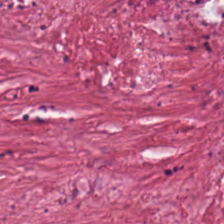0.5 µm/px. H&E stain.
Q: What is shown in this field?
A: It is tumor stroma.
